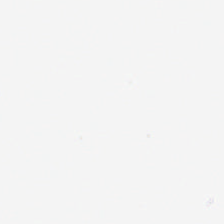Hematoxylin and eosin. This field is background (no tissue).
